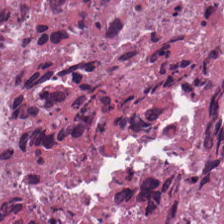Whole-slide-image patch. H&E — This field is debris.
